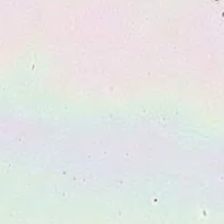FFPE tissue section · H&E stain.
Background.
